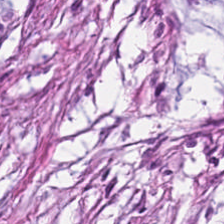H&E stain. This patch shows cancer-associated stroma.
